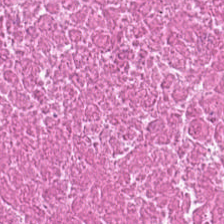Hematoxylin and eosin. Whole-slide-image patch. Classification = cellular debris.
